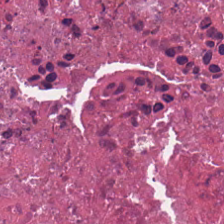H&E · formalin-fixed paraffin-embedded section.
Showing cellular debris.
